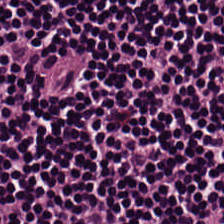H&E · whole-slide-image patch. Impression → lymphocytic infiltrate.
